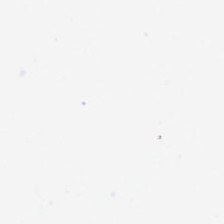224×224 pixel tile; H&E stain — Content = empty background.
